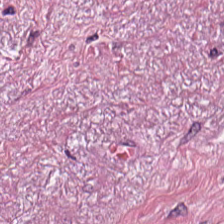224×224 pixel tile · FFPE tissue section · H&E stain. Finding — desmoplastic stroma.
